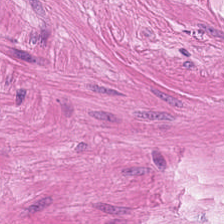Stain: H&E-stained tissue section.
Predominant tissue: smooth-muscle tissue.
